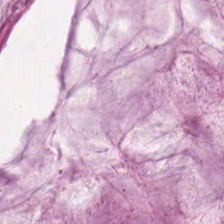Stain: H&E-stained tissue section.
Predominant tissue: mucus.
